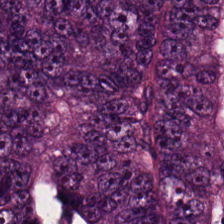The predominant tissue is colorectal adenocarcinoma epithelium.
